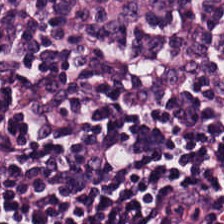H&E-stained tissue section — This field is lymphocytes.
